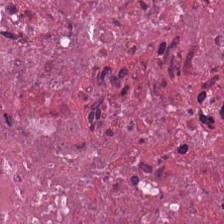Brightfield microscopy. Hematoxylin and eosin. Q: What tissue is shown?
A: This is necrotic debris.
